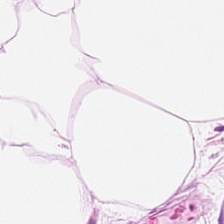20× equivalent magnification; 224×224 px patch; hematoxylin and eosin — {"tissue_type": "fat tissue"}
